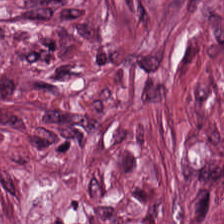FFPE tissue section · 20× equivalent magnification · H&E-stained tissue section. Cancer-associated stroma.
